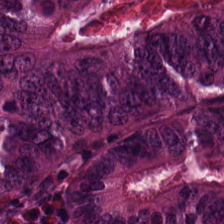Brightfield; hematoxylin-and-eosin stained section.
Showing adenocarcinoma.
